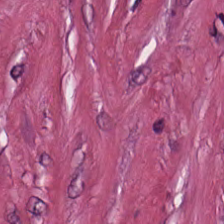H&E — cancer-associated stroma.
